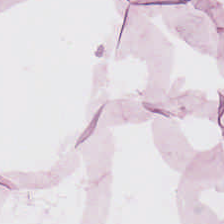Hematoxylin-and-eosin stained section. Showing adipocytes.
